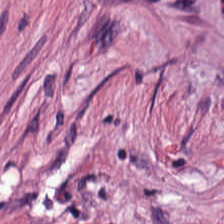H&E stain. Finding — cancer-associated stroma.
